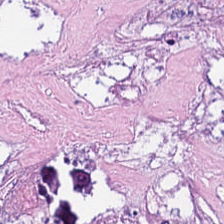Hematoxylin-and-eosin stained section — Classification = necrotic debris.
